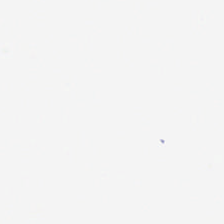Field content: no tissue.
